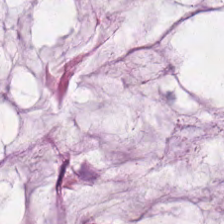Hematoxylin and eosin · 224×224 pixel tile — Tissue class = extracellular mucin.
